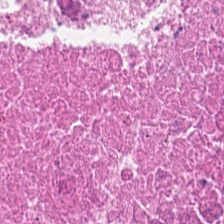H&E. Q: What tissue is shown?
A: The field shows necrotic debris.
